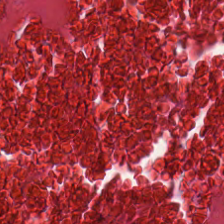Hematoxylin-and-eosin stained section — Histology — debris.
